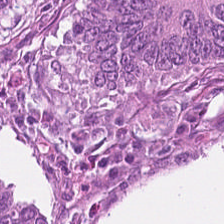H&E stain — {"tissue_type": "colorectal adenocarcinoma"}
